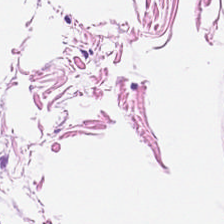Hematoxylin-and-eosin stained section — This patch shows fat tissue.
